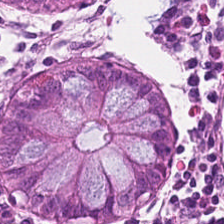H&E. Q: What type of tissue is this?
A: The field shows non-neoplastic colon mucosa.
